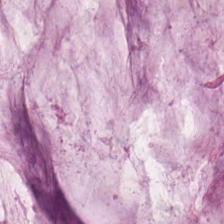Histology → mucin.
